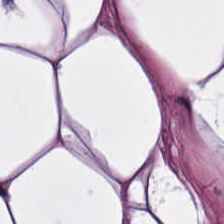Brightfield microscopy. Hematoxylin and eosin. 224×224 px tile — {"tissue_type": "adipose"}
